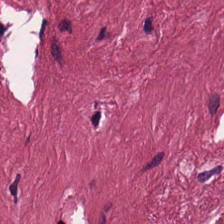Hematoxylin-and-eosin stained section · brightfield microscopy — {"tissue_type": "desmoplastic stroma"}
